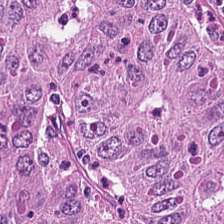H&E-stained tissue section · 224×224 pixel tile.
The classification is colorectal adenocarcinoma epithelium.
